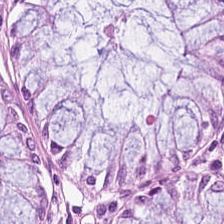H&E-stained tissue section.
Tissue class — non-neoplastic colon mucosa.
